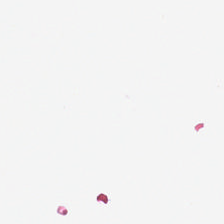Stain: H&E-stained tissue section.
Field content: empty background.
